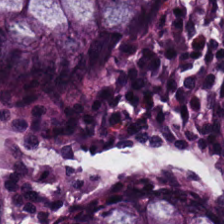H&E-stained tissue section. This patch shows non-neoplastic colon mucosa.
